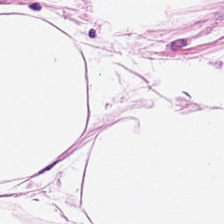Hematoxylin-and-eosin section: fat tissue.
